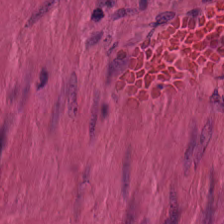H&E stain — Tissue — muscularis.
